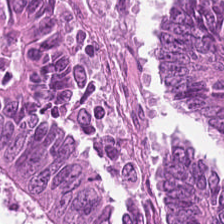Hematoxylin-and-eosin section: colorectal adenocarcinoma epithelium.
